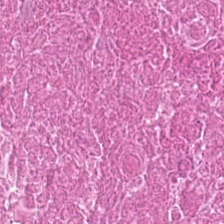Hematoxylin and eosin — Impression — cellular debris.
